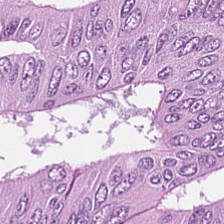Stain: hematoxylin and eosin.
Acquisition: brightfield microscopy.
Resolution: 0.5 microns per pixel.
Predominant tissue: colorectal adenocarcinoma epithelium.
